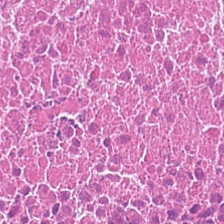Predominant tissue = cellular debris.
